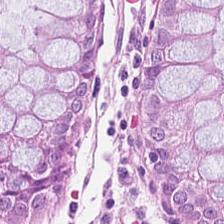Hematoxylin-and-eosin stained section. The tissue here is normal colonic mucosa.
